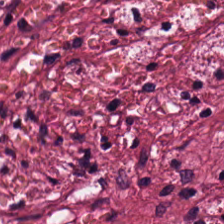Q: What is shown here?
A: This is tumor-associated stroma.
